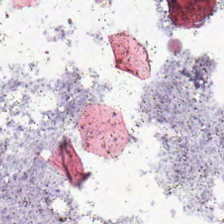224×224 px tile · H&E stain · formalin-fixed paraffin-embedded section.
No tissue present; background only.
